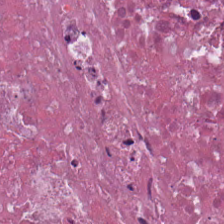{"tissue_type": "debris"}
